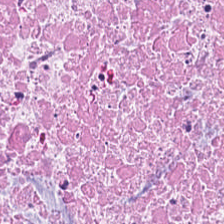Formalin-fixed paraffin-embedded section · H&E stain — The tissue class is debris.
